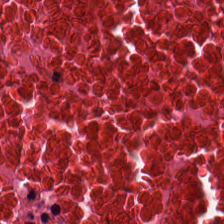This patch shows necrotic debris.
